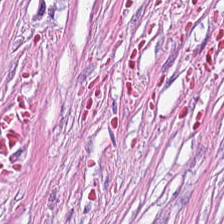H&E-stained tissue section. Predominant tissue = cancer-associated stroma.
